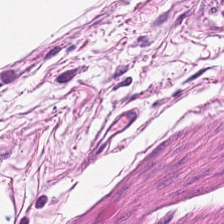Stain: H&E stain.
Preparation: formalin-fixed paraffin-embedded section.
Tile size: 224×224 pixel tile.
Tissue type: muscularis.
